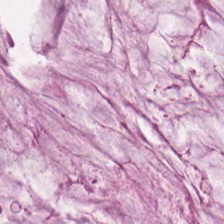H&E-stained tissue section.
Impression — extracellular mucin.
